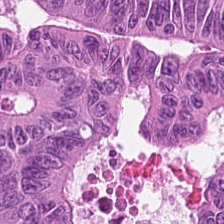Stain: H&E stain.
Tissue class: colorectal adenocarcinoma.
